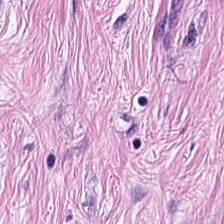Hematoxylin-and-eosin stained section.
This field is tumor-associated stroma.
